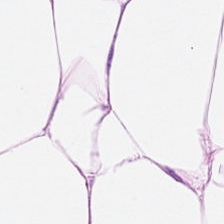0.5 µm per pixel. Whole-slide-image patch. H&E stain. Tissue type: adipose tissue.
